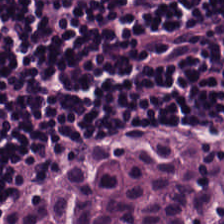H&E — Tissue class — lymphoid infiltrate.
